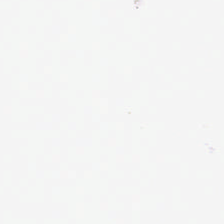This field is background (no tissue).
